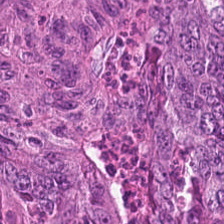Hematoxylin and eosin. FFPE tissue section. Q: What is the predominant tissue type?
A: Colorectal adenocarcinoma.
